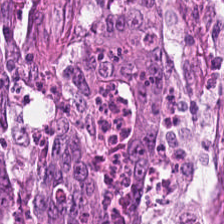Hematoxylin and eosin — This patch shows colorectal adenocarcinoma epithelium.
